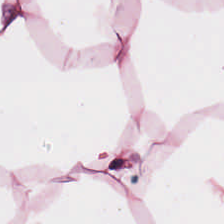Hematoxylin and eosin. Whole-slide-image patch. Finding → fat tissue.
